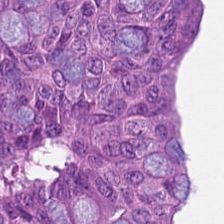Hematoxylin-and-eosin stained section — The tissue here is adenocarcinoma.
